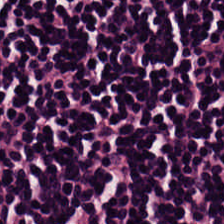0.5 µm/px. Hematoxylin-and-eosin stained section — Showing lymphocyte aggregate.
